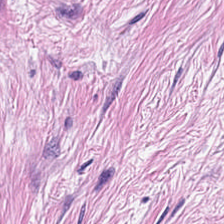Showing tumor-associated stroma.
